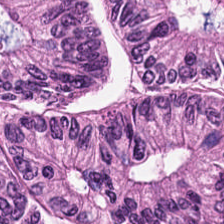WSI patch · H&E.
Histology → colorectal adenocarcinoma epithelium.
